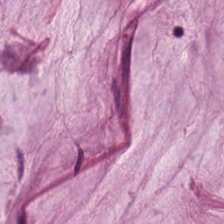H&E stain · FFPE tissue section.
Q: What is shown here?
A: It is mucus.
